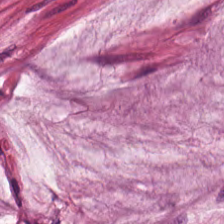0.5 microns per pixel; H&E stain — {"tissue_type": "mucus"}
